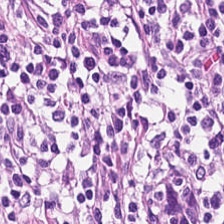H&E-stained tissue section. {"tissue_type": "lymphocytes"}
